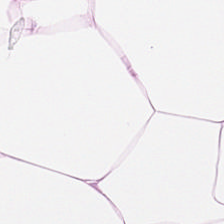H&E-stained tissue section — Q: What is the predominant tissue type?
A: This is adipose.
